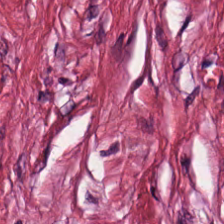H&E; WSI patch; FFPE tissue section.
Q: What is the predominant tissue type?
A: This is tumor-associated stroma.
